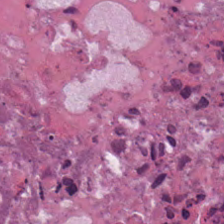Hematoxylin and eosin.
The tissue here is necrotic debris.
